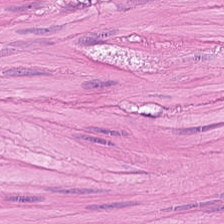Stain: H&E.
Tissue class: smooth-muscle tissue.
